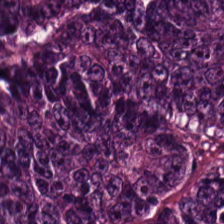Stain: H&E-stained tissue section.
Tissue type: adenocarcinoma.
